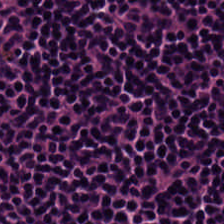Brightfield. H&E stain — The tissue class is lymphocytes.
